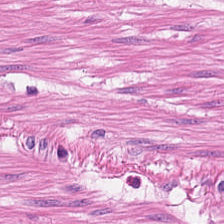Showing smooth muscle.
